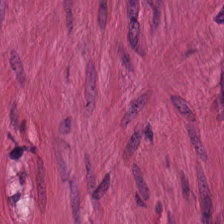Showing muscularis.
